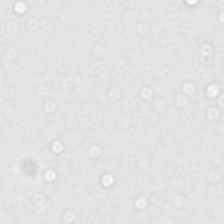Empty field — background.
